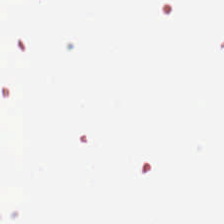This patch shows background (no tissue).
